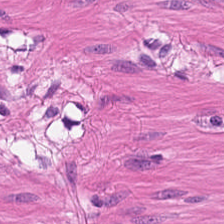Q: What is the predominant tissue type?
A: This is smooth-muscle tissue.
